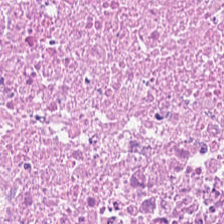Predominant tissue = debris.
